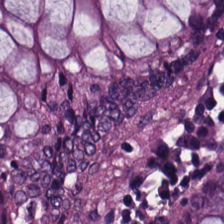H&E — Tissue class — normal colonic mucosa.
